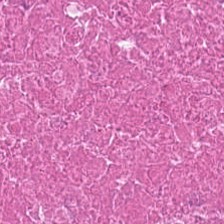H&E stain. This patch shows cellular debris.
